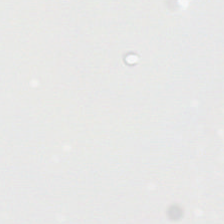H&E-stained tissue section — No tissue present; background only.
